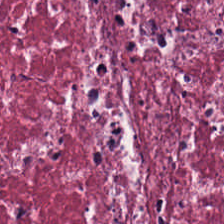H&E. Impression — tumor-associated stroma.
